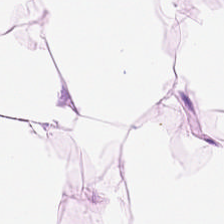FFPE; 20× equivalent magnification; hematoxylin and eosin.
Predominant tissue: adipose.
